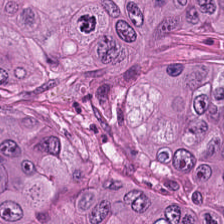0.5 microns per pixel; H&E stain. Predominant tissue = colorectal adenocarcinoma epithelium.
